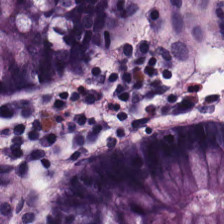224×224 pixel tile; formalin-fixed paraffin-embedded section; H&E-stained tissue section.
Predominant tissue = non-neoplastic colon mucosa.
